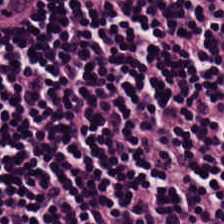H&E — This patch shows lymphoid infiltrate.
